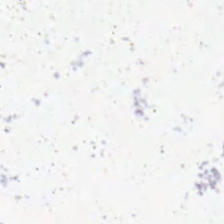WSI patch · hematoxylin and eosin.
This patch shows background (no tissue).
